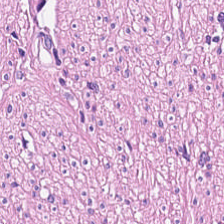224×224 px patch · hematoxylin and eosin.
Smooth muscle.
